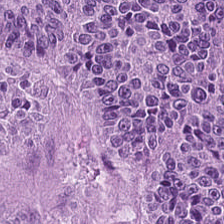Tissue class = tumor epithelium.
